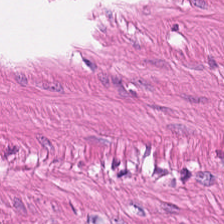H&E.
Classification: smooth muscle.
